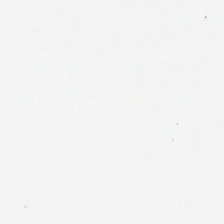H&E stain. The field content is no tissue.
